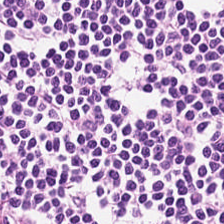The tissue here is lymphocytes.
